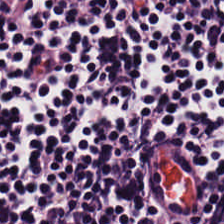H&E stain; WSI patch — This patch shows lymphocytes.
